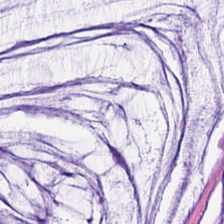0.5 µm/px; hematoxylin-and-eosin stained section.
This field is mucus.
